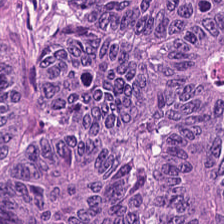Hematoxylin and eosin — Q: What is the predominant tissue type?
A: This is adenocarcinoma.
